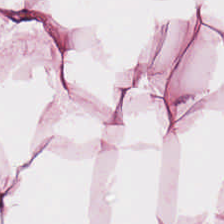Formalin-fixed paraffin-embedded section. Hematoxylin and eosin — The tissue here is adipose.
